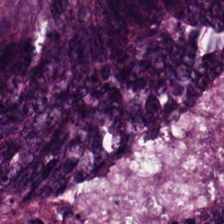H&E stain · FFPE tissue section. Tissue class — malignant epithelium.
